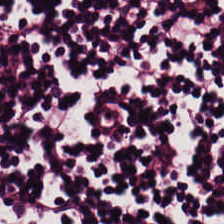Whole-slide-image patch · H&E — Classification = lymphocytic infiltrate.
